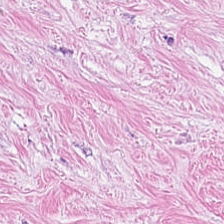The predominant tissue is desmoplastic stroma.
